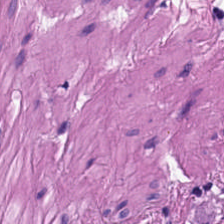Q: What is the predominant tissue type?
A: The field shows smooth-muscle tissue.
